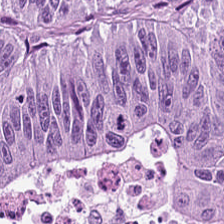H&E-stained tissue section. Q: Classify this patch.
A: This is colorectal adenocarcinoma epithelium.
